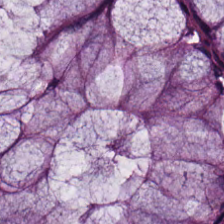Stain: H&E stain.
Tile size: 224×224 px patch.
Acquisition: WSI patch.
Tissue: normal colonic mucosa.
